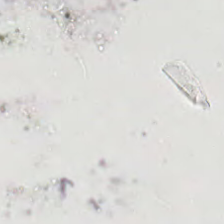H&E-stained tissue section · 224×224 px patch.
Q: What is shown in this field?
A: No tissue.
